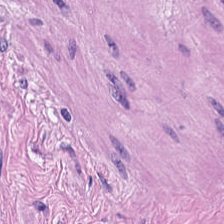H&E. Showing muscularis.
